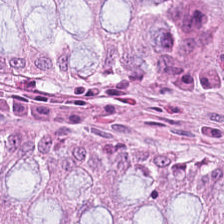The predominant tissue is benign colonic mucosa.
